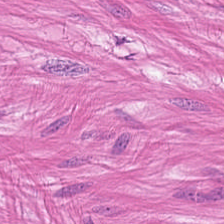Hematoxylin-and-eosin stained section. Formalin-fixed paraffin-embedded section. 20× equivalent magnification — Tissue: smooth-muscle tissue.
